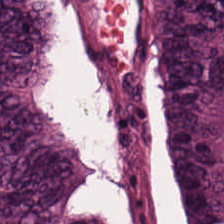Stain: H&E stain.
Predominant tissue: colorectal adenocarcinoma.
